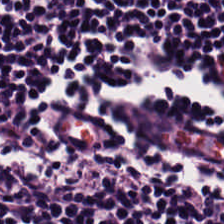H&E-stained tissue section — {"tissue_type": "lymphocytic infiltrate"}
